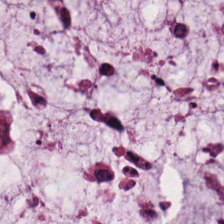224×224 px tile; hematoxylin-and-eosin stained section — This patch shows mucin.
